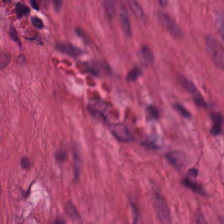224×224 pixel tile; H&E; brightfield — Predominant tissue: smooth-muscle tissue.
